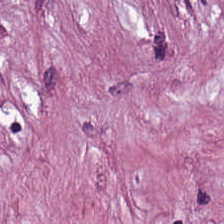H&E.
Q: What is shown here?
A: This is desmoplastic stroma.
